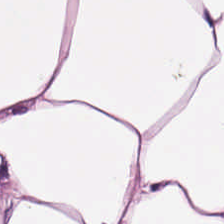H&E-stained tissue section.
Tissue type: adipocytes.
